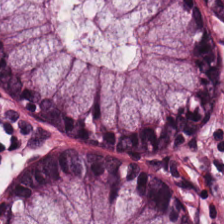Stain: hematoxylin and eosin.
Resolution: 20× equivalent magnification.
Tissue class: normal colonic mucosa.
